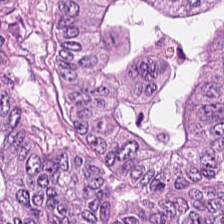Showing tumor epithelium.
